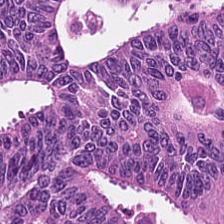H&E — Classification = colorectal adenocarcinoma epithelium.
